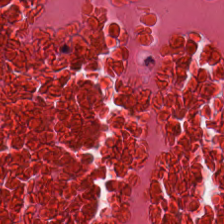This field is cellular debris.
